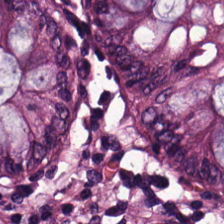H&E-stained tissue section — Tissue class — normal colon mucosa.
